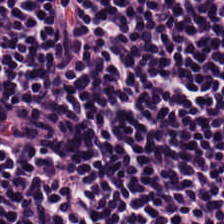Tissue class — lymphocytic infiltrate.
